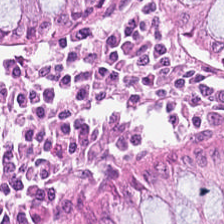Stain: H&E stain.
Resolution: 0.5 µm per pixel.
Tissue type: normal colon mucosa.
